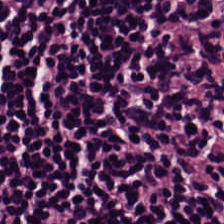Formalin-fixed paraffin-embedded section. Hematoxylin and eosin.
Tissue class = lymphocytes.
